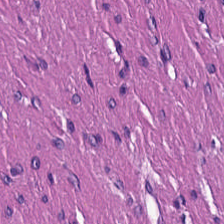H&E. The tissue here is muscularis.
